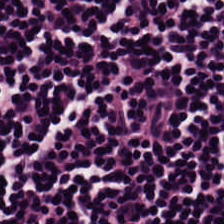Stain: hematoxylin and eosin.
Tissue: lymphocytes.
